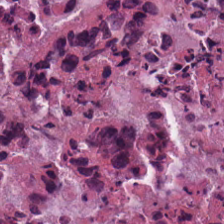H&E stain.
The tissue is necrotic debris.
